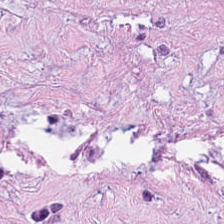Brightfield. Hematoxylin-and-eosin stained section — Showing desmoplastic stroma.
